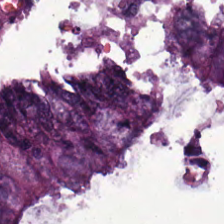Stain: H&E-stained tissue section.
Tissue: adenocarcinoma.
